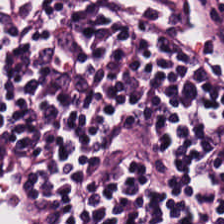H&E stain — Predominantly lymphocytic infiltrate.
